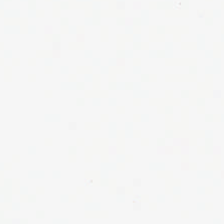H&E stain — The field content is background.
